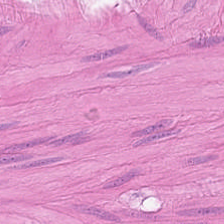H&E stain.
Showing muscularis.
